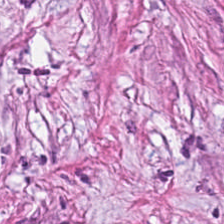H&E — Desmoplastic stroma.
